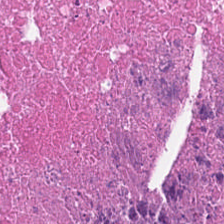Q: Classify this patch.
A: This is necrotic debris.
